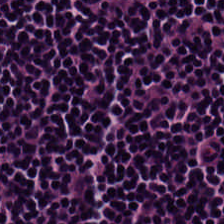Hematoxylin-and-eosin stained section. The tissue type is lymphoid infiltrate.
